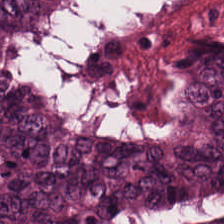The predominant tissue is adenocarcinoma.
